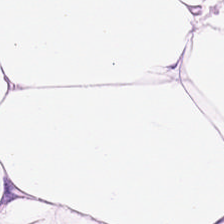224×224 pixel tile; H&E. Q: What tissue is shown?
A: Fat tissue.
